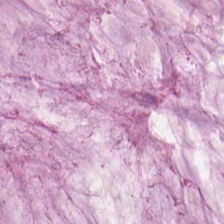Hematoxylin and eosin.
Histology — extracellular mucin.
